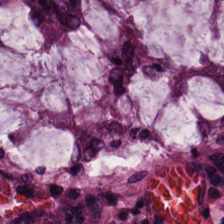Tissue type — non-neoplastic colon mucosa.
